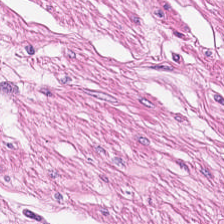224×224 px tile; hematoxylin-and-eosin stained section — Muscularis.
